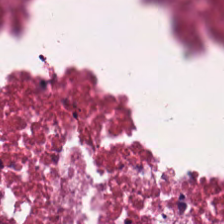H&E-stained tissue section.
The tissue here is cellular debris.
